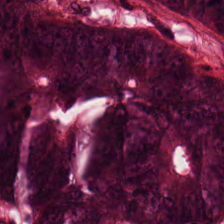The tissue class is adenocarcinoma.
